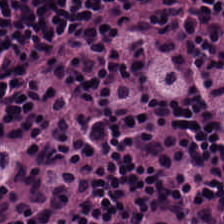Stain: H&E.
Predominant tissue: lymphoid infiltrate.
